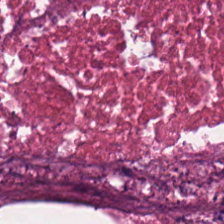Stain: H&E stain.
Tissue class: debris.
